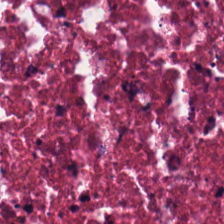The tissue is cellular debris.
